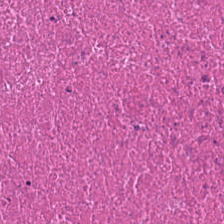Hematoxylin-and-eosin stained section — Histology — necrotic debris.
